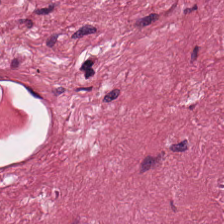H&E. Showing desmoplastic stroma.
